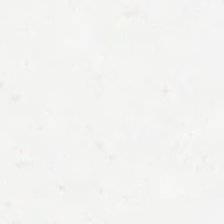Hematoxylin-and-eosin stained section. This field is background (no tissue).
